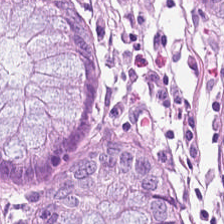Hematoxylin-and-eosin stained section · 224×224 px patch — The classification is normal colonic mucosa.
